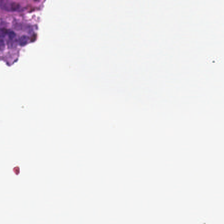Stain: hematoxylin and eosin.
Content: background (no tissue).
